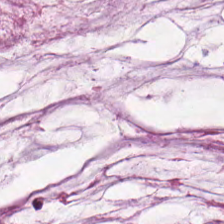H&E stain. 0.5 microns per pixel. 224×224 px patch. This field is extracellular mucin.
